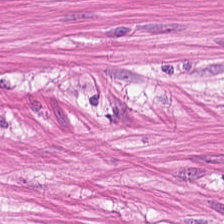224×224 px tile. Hematoxylin-and-eosin stained section.
Finding — smooth muscle.
